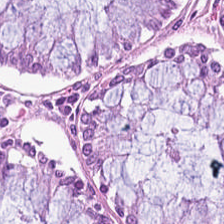H&E stain. Showing benign colonic mucosa.
